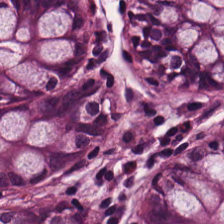Q: What is shown in this field?
A: The field shows non-neoplastic colon mucosa.
